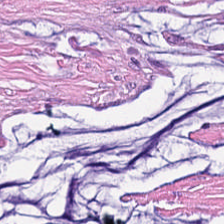Whole-slide-image patch · hematoxylin-and-eosin stained section. Tumor-associated stroma.
